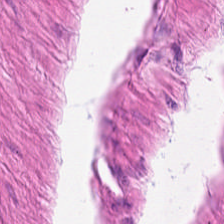0.5 microns per pixel · formalin-fixed paraffin-embedded section · H&E stain — This field is muscularis.
